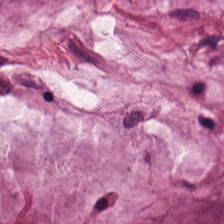20× equivalent magnification. 224×224 pixel tile. H&E-stained tissue section — The tissue here is extracellular mucin.
